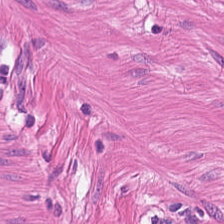H&E-stained section; the field shows muscularis.
